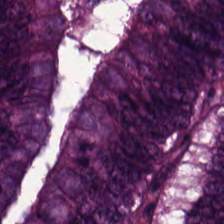Impression → malignant epithelium.
